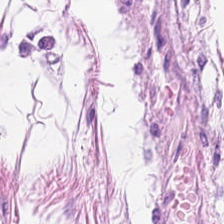H&E stain; formalin-fixed paraffin-embedded section.
Predominant tissue — adipocytes.
